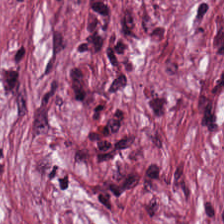H&E stain. Cancer-associated stroma.
